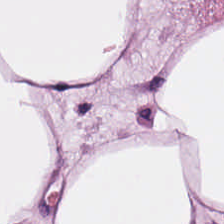Stain: H&E.
Resolution: 20× equivalent magnification.
Tissue: fat tissue.
